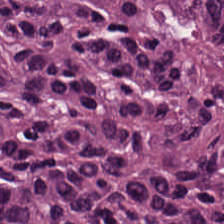Malignant epithelium.
